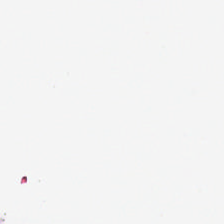{"content": "no tissue"}
